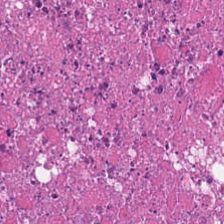Hematoxylin-and-eosin stained section · brightfield.
Q: Identify the tissue.
A: This is debris.
